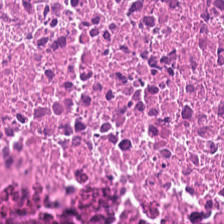Hematoxylin-and-eosin stained section — Tissue type: debris.
